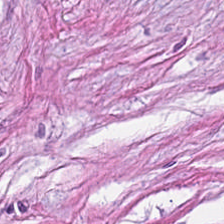Hematoxylin-and-eosin stained section; FFPE — Tumor-associated stroma.
